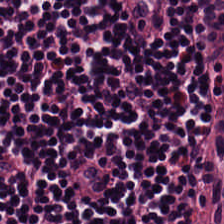Hematoxylin and eosin. Q: What is the predominant tissue type?
A: The field shows lymphoid infiltrate.
